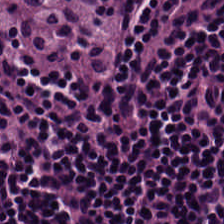H&E. Q: What tissue type is shown here?
A: This is lymphocytic infiltrate.
